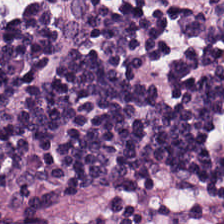Hematoxylin and eosin · 0.5 microns per pixel. The tissue type is lymphocytic infiltrate.
